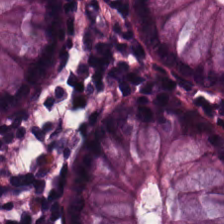Brightfield. Hematoxylin and eosin.
{"tissue_type": "non-neoplastic colon mucosa"}
